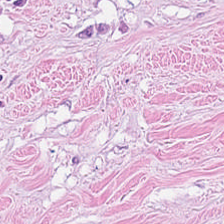Stain: H&E.
Tissue type: desmoplastic stroma.
